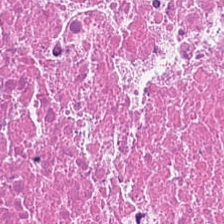H&E stain.
This patch shows debris.
